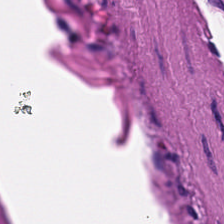Q: What is shown here?
A: It is muscularis.
